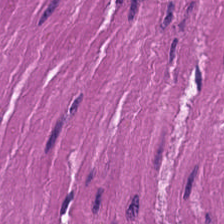Hematoxylin-and-eosin stained section — The classification is smooth-muscle tissue.
